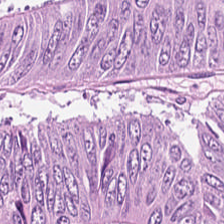224×224 px patch · WSI patch · hematoxylin-and-eosin stained section — This field is colorectal adenocarcinoma.
